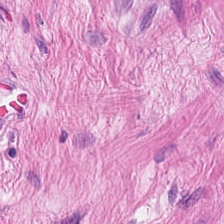H&E stain.
The tissue here is smooth muscle.
